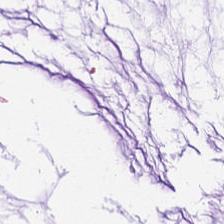Predominant tissue = mucus.
